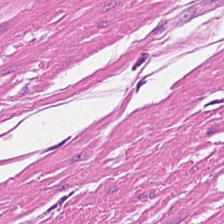H&E-stained tissue section.
Q: What type of tissue is this?
A: It is smooth muscle.
